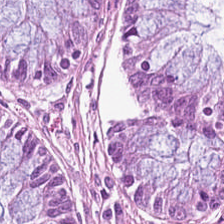H&E-stained tissue section. Q: What type of tissue is this?
A: This is non-neoplastic colon mucosa.
